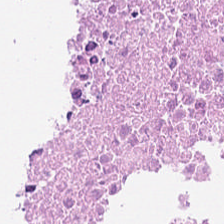H&E.
Tissue class = cellular debris.
